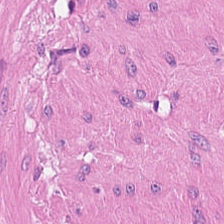Hematoxylin and eosin — Predominant tissue — muscularis.
